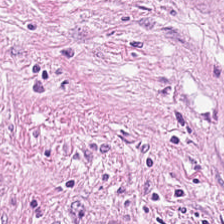H&E — The predominant tissue is desmoplastic stroma.
